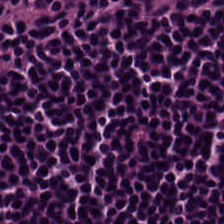Whole-slide-image patch. Hematoxylin-and-eosin stained section. 224×224 pixel tile.
Q: Classify this patch.
A: This is lymphocytic infiltrate.
